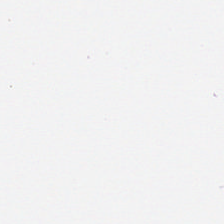H&E-stained tissue section.
No tissue.
